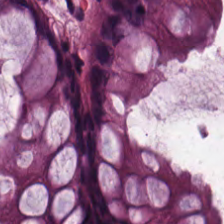Stain: H&E-stained tissue section.
Acquisition: brightfield microscopy.
Tissue: benign colonic mucosa.
